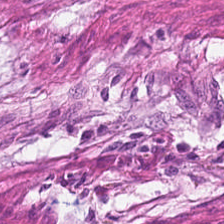H&E. Finding → tumor-associated stroma.
